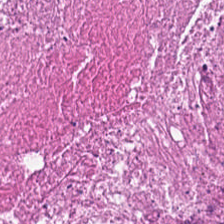H&E-stained tissue section. FFPE.
Histology — necrotic debris.
